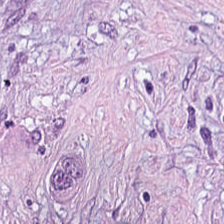FFPE tissue section; brightfield microscopy; H&E.
Cancer-associated stroma.
